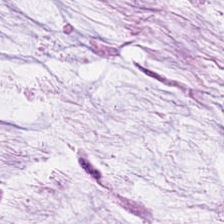Hematoxylin-and-eosin stained section; whole-slide-image patch — Showing mucus.
